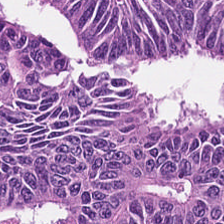FFPE · H&E-stained tissue section — Tissue class = adenocarcinoma.
